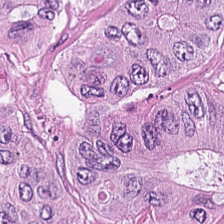Tissue type — adenocarcinoma.
